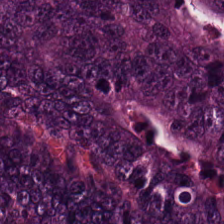Histology — colorectal adenocarcinoma.
